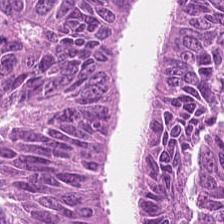Hematoxylin and eosin — This field is colorectal adenocarcinoma.
